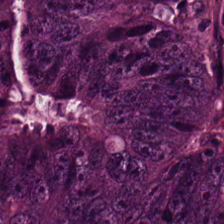224×224 pixel tile · formalin-fixed paraffin-embedded section · hematoxylin-and-eosin stained section.
Classification = colorectal adenocarcinoma.
